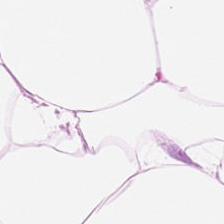Brightfield. Hematoxylin-and-eosin stained section — Tissue type: adipocytes.
